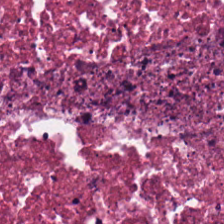The predominant tissue is necrotic debris.
